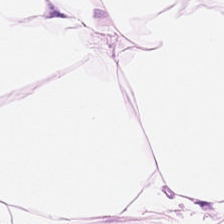Hematoxylin and eosin.
Finding → adipose.
